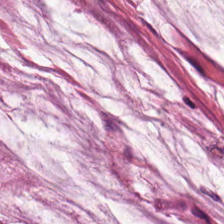The tissue is mucin.
